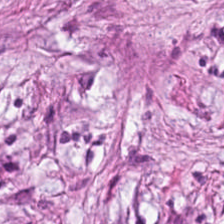H&E-stained tissue section · brightfield — The tissue is tumor stroma.
